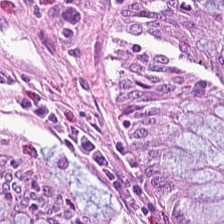Hematoxylin and eosin.
Classification — normal colonic mucosa.
